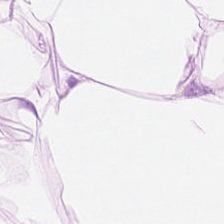H&E — The tissue class is adipocytes.
